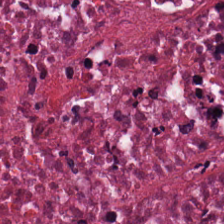Histology → necrotic debris.
